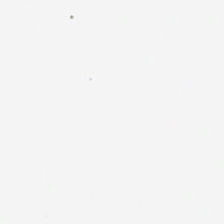Hematoxylin-and-eosin stained section · 0.5 µm per pixel. Q: Classify this patch.
A: It is background (no tissue).
